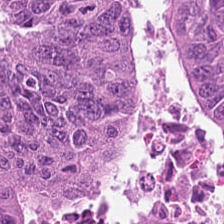Stain: hematoxylin-and-eosin stained section.
Classification: colorectal adenocarcinoma.
